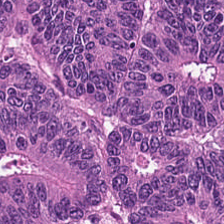Hematoxylin and eosin; 0.5 µm per pixel; brightfield.
Finding → tumor epithelium.
